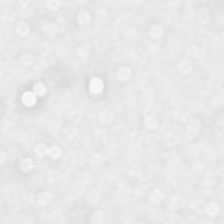Hematoxylin-and-eosin stained section. Brightfield microscopy. Content — background.
